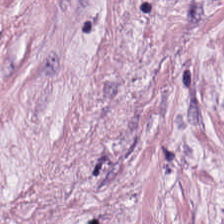H&E-stained tissue section showing tumor-associated stroma.
